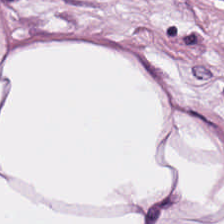Stain: hematoxylin and eosin.
Tissue class: adipose.
